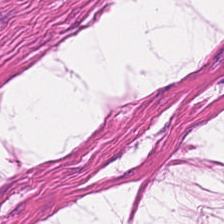H&E stain. This patch shows smooth muscle.
